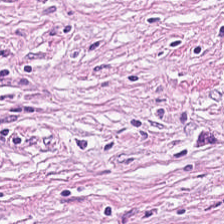H&E-stained tissue section.
Finding — desmoplastic stroma.
